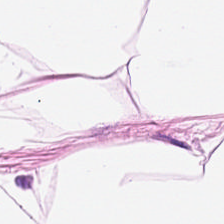H&E. {"tissue_type": "adipose"}
